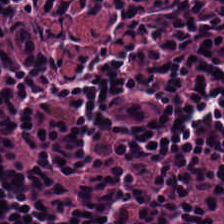Brightfield microscopy; hematoxylin and eosin; 0.5 µm/px — Classification — lymphoid infiltrate.
